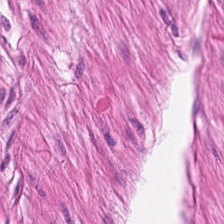Formalin-fixed paraffin-embedded section; hematoxylin-and-eosin stained section — Q: What tissue is shown?
A: This is smooth muscle.
